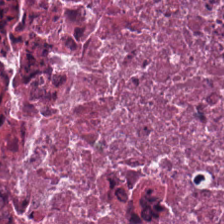H&E-stained tissue section. FFPE. 224×224 px patch — Debris.
